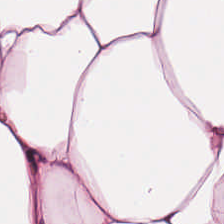0.5 microns per pixel. H&E — Q: What is the predominant tissue type?
A: It is adipose tissue.
